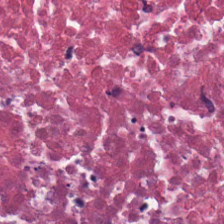Hematoxylin-and-eosin stained section.
The predominant tissue is cellular debris.
